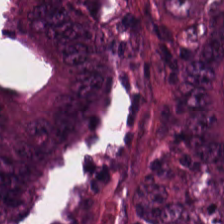H&E stain — The tissue here is malignant epithelium.
